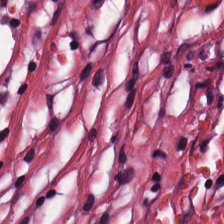Histology → tumor-associated stroma.
